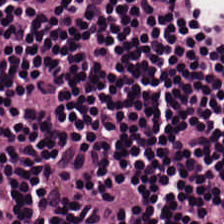Stain: hematoxylin and eosin.
Resolution: 0.5 µm/px.
Acquisition: WSI patch.
Tissue type: lymphocytic infiltrate.
